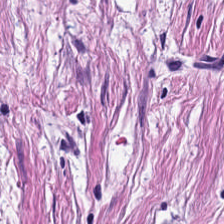Hematoxylin-and-eosin stained section; FFPE. Histology — cancer-associated stroma.
